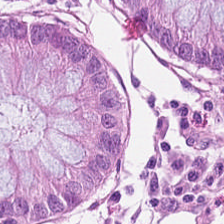224×224 pixel tile; 0.5 µm/px; H&E stain.
Showing normal colonic mucosa.
